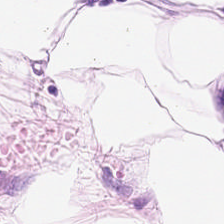Formalin-fixed paraffin-embedded section · H&E-stained tissue section. Histology → fat tissue.
